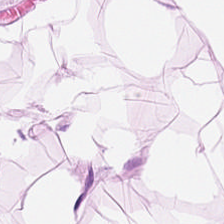Stain: H&E-stained tissue section.
Tissue class: fat tissue.
